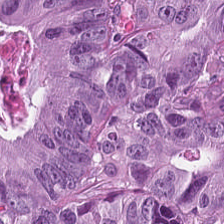224×224 px tile. Hematoxylin-and-eosin stained section. The predominant tissue is colorectal adenocarcinoma epithelium.
